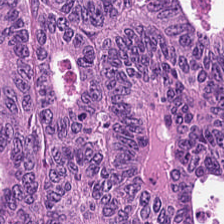H&E.
This field is malignant epithelium.
